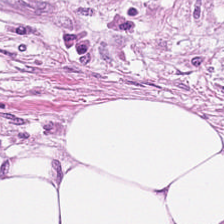FFPE · hematoxylin and eosin · brightfield microscopy. Q: Identify the tissue.
A: Cancer-associated stroma.
